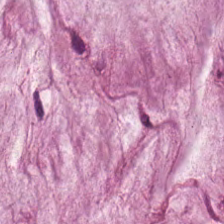H&E · 224×224 pixel tile. Showing extracellular mucin.
